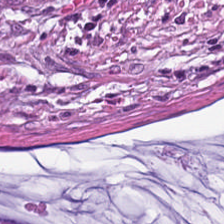Hematoxylin and eosin — Predominantly extracellular mucin.
